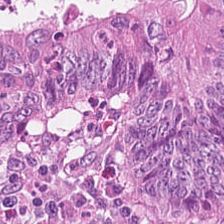H&E. The tissue here is colorectal adenocarcinoma epithelium.
